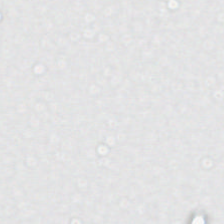224×224 px patch. H&E stain. Empty field — empty background.
